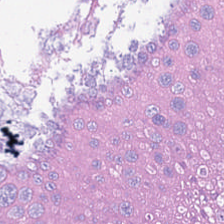H&E stain. FFPE tissue section — Malignant epithelium.
